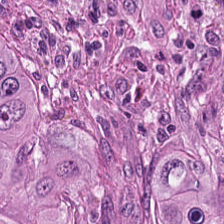H&E-stained tissue section. Formalin-fixed paraffin-embedded section — The predominant tissue is malignant epithelium.
